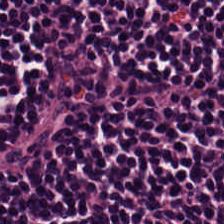H&E — The tissue type is lymphocyte aggregate.
